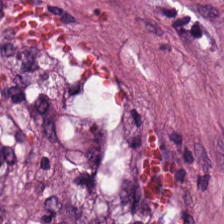Tissue — cancer-associated stroma.
